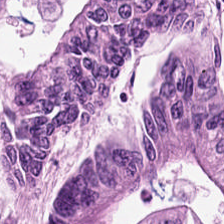The tissue class is tumor epithelium.
